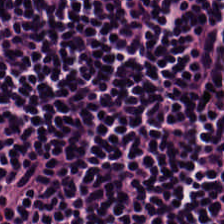Classification — lymphocyte aggregate.
